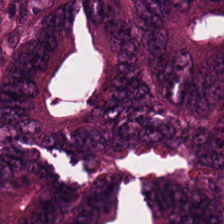Hematoxylin and eosin; 20× equivalent magnification. Classification: tumor epithelium.
